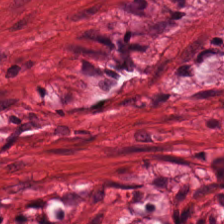Hematoxylin and eosin.
This field is smooth-muscle tissue.
